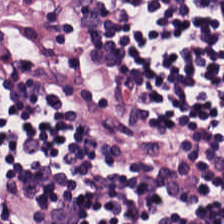H&E — Lymphoid infiltrate.
